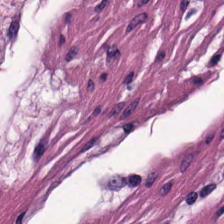H&E-stained section; the field shows smooth muscle.
